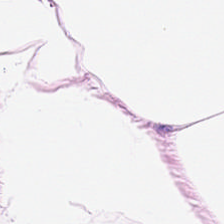224×224 px patch. Hematoxylin and eosin — Tissue class — adipocytes.
